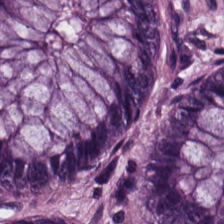The tissue class is non-neoplastic colon mucosa.
